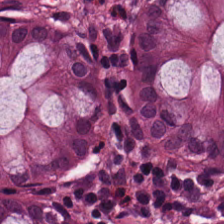Stain: hematoxylin-and-eosin stained section.
Resolution: 0.5 microns per pixel.
Predominant tissue: non-neoplastic colon mucosa.
